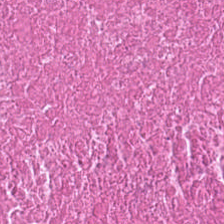0.5 microns per pixel; H&E. {"tissue_type": "debris"}
